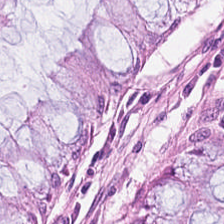H&E — Impression — normal colon mucosa.
